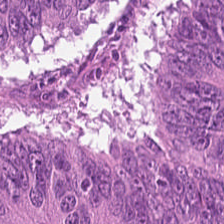H&E-stained tissue section.
The tissue class is malignant epithelium.
